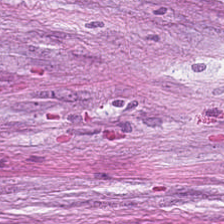0.5 µm/px. Hematoxylin and eosin. FFPE. Tissue type: tumor-associated stroma.
